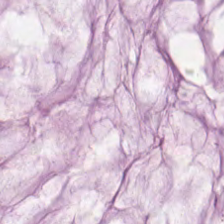Hematoxylin-and-eosin stained section; WSI patch — Predominant tissue: extracellular mucin.
